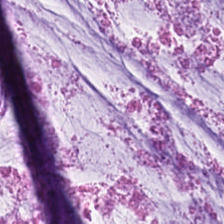Stain: H&E.
Tissue class: extracellular mucin.
